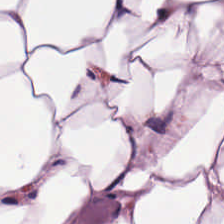H&E — Q: What tissue is shown?
A: Adipose tissue.
